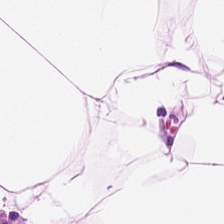H&E-stained tissue section. Showing fat tissue.
